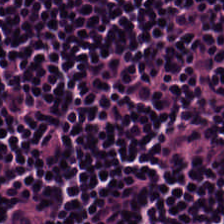Hematoxylin-and-eosin stained section · 224×224 pixel tile.
Tissue type = lymphocytic infiltrate.
